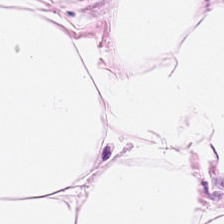WSI patch. FFPE. Hematoxylin and eosin — Tissue class — adipose.
